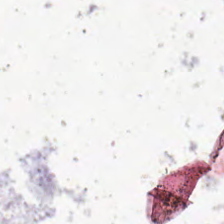WSI patch. H&E-stained tissue section.
Q: What does this patch show?
A: No tissue.
